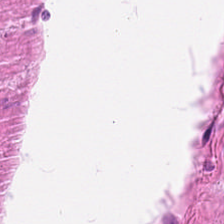H&E-stained tissue section.
This field is muscularis.
